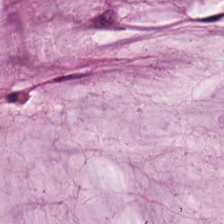Hematoxylin-and-eosin stained section. The tissue is mucus.
